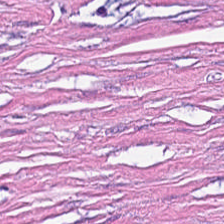This patch shows tumor stroma.
